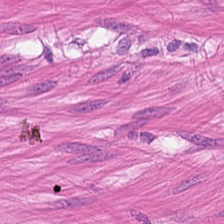WSI patch; H&E stain.
This field is smooth-muscle tissue.
